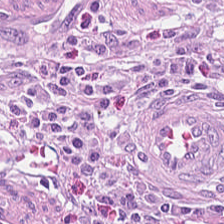0.5 µm per pixel; H&E stain. This field is desmoplastic stroma.
